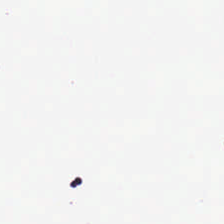H&E stain. Background — no tissue in this field.
